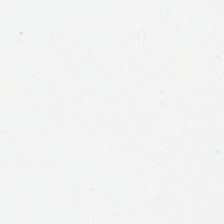Stain: hematoxylin-and-eosin stained section.
Content: background (no tissue).
